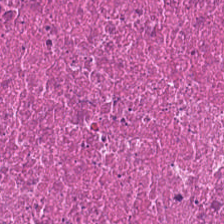H&E stain; whole-slide-image patch. {"tissue_type": "debris"}
